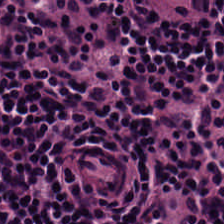Hematoxylin and eosin.
{"tissue_type": "lymphocyte aggregate"}
